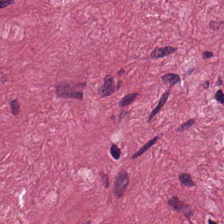Q: Classify this patch.
A: The field shows cancer-associated stroma.
